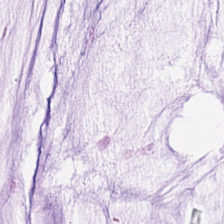20× equivalent magnification. H&E-stained tissue section — Q: What tissue is shown?
A: It is mucin.
